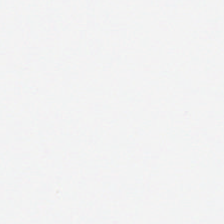FFPE · H&E. Classification = background (no tissue).
